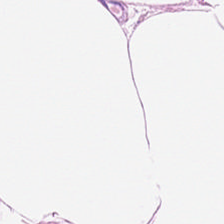H&E stain. Adipocytes.
